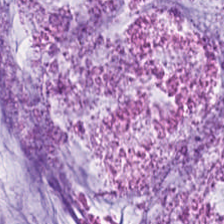H&E-stained tissue section — Tissue type — mucus.
